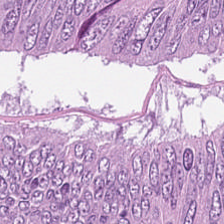H&E; FFPE tissue section.
The classification is adenocarcinoma.
